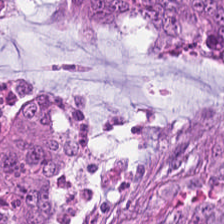0.5 microns per pixel · H&E stain — Classification: adenocarcinoma.
